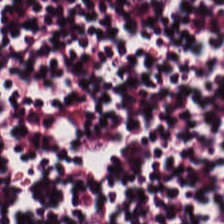Hematoxylin and eosin — Classification: lymphocyte aggregate.
